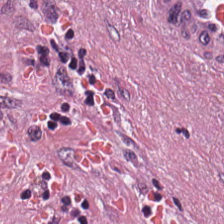FFPE; H&E stain.
Q: Identify the tissue.
A: This is desmoplastic stroma.
